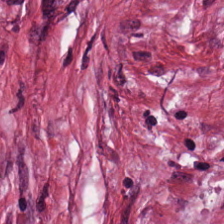Brightfield microscopy. H&E. {"tissue_type": "tumor-associated stroma"}
